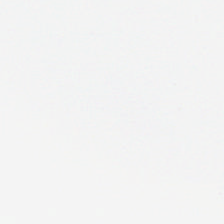Stain: hematoxylin-and-eosin stained section.
Content: background (no tissue).
